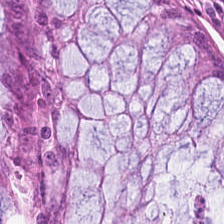Stain: H&E.
Resolution: 0.5 µm per pixel.
Acquisition: brightfield.
Predominant tissue: benign colonic mucosa.
